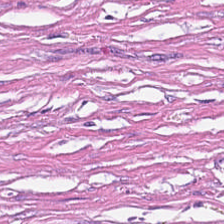H&E stain.
The tissue is tumor-associated stroma.
